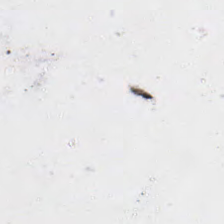H&E stain; 224×224 px patch; 0.5 µm per pixel — Classification — empty background.
